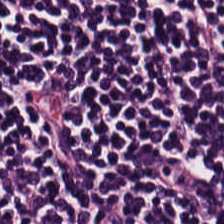Stain: H&E.
Tissue type: lymphocyte aggregate.
